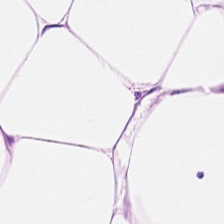Stain: hematoxylin and eosin.
Resolution: 0.5 µm/px.
Tile size: 224×224 pixel tile.
Tissue class: adipose.
